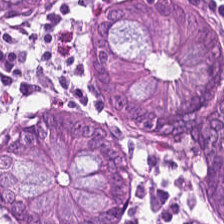Hematoxylin-and-eosin stained section. Tissue type = normal colonic mucosa.
